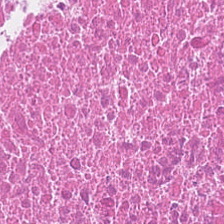Stain: H&E-stained tissue section.
Preparation: FFPE tissue section.
Acquisition: WSI patch.
Classification: cellular debris.
